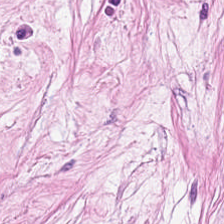Tissue class = tumor-associated stroma.
